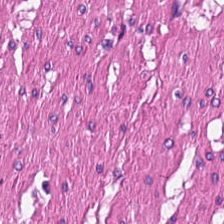H&E patch showing smooth muscle.
